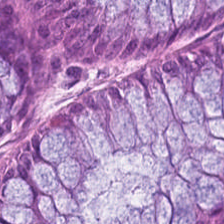{"tissue_type": "non-neoplastic colon mucosa"}
